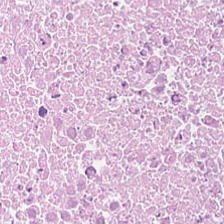H&E-stained section; the field shows cellular debris.
